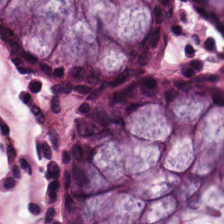224×224 px patch. H&E-stained tissue section. Whole-slide-image patch. {"tissue_type": "benign colonic mucosa"}
